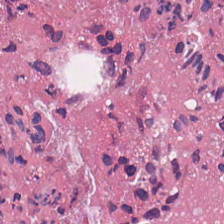Hematoxylin-and-eosin stained section — This patch shows cellular debris.
